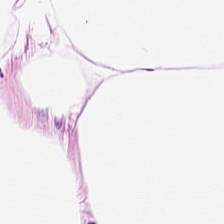H&E-stained tissue section · 0.5 microns per pixel. {"tissue_type": "adipose tissue"}
